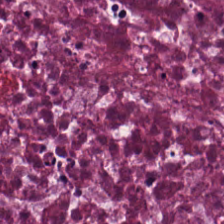224×224 px patch · FFPE · H&E-stained tissue section.
Tissue: debris.
